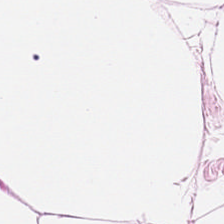Hematoxylin and eosin. Tissue class — adipose tissue.
